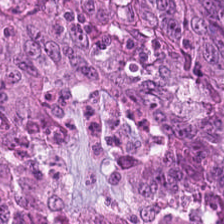Hematoxylin and eosin · 20× equivalent magnification · whole-slide-image patch — This field is malignant epithelium.
